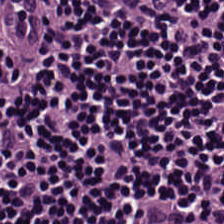Stain: H&E.
Tissue class: lymphocytes.
